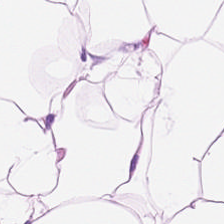224×224 px patch · H&E. The tissue type is fat tissue.
